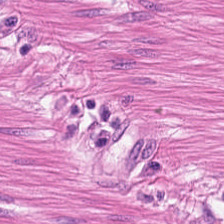Hematoxylin-and-eosin stained section. The tissue class is muscularis.
